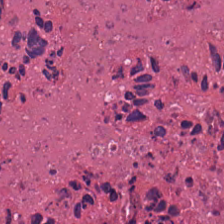H&E stain · 0.5 microns per pixel · FFPE tissue section — Q: What tissue is shown?
A: This is necrotic debris.
